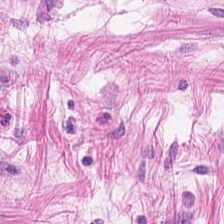H&E-stained tissue section; brightfield. Q: What does this patch show?
A: This is muscularis.
